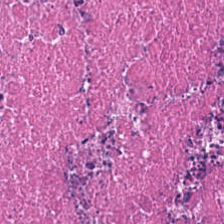Impression → debris.
